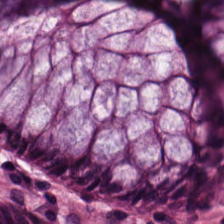The predominant tissue is benign colonic mucosa.
